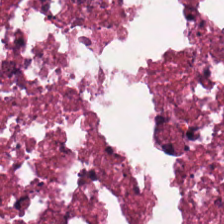Stain: hematoxylin and eosin.
Tissue: cellular debris.
